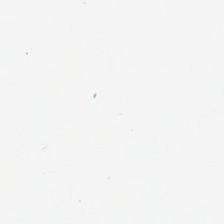H&E stain — Background (no tissue).
